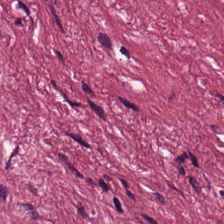{"tissue_type": "tumor-associated stroma"}
